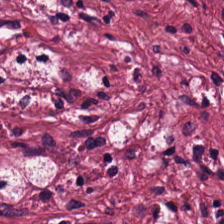Tissue type — tumor stroma.
